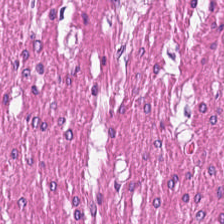Tissue type — smooth muscle.
